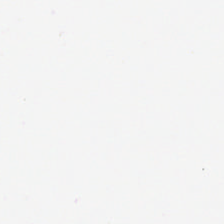Hematoxylin and eosin — Empty field — background (no tissue).
